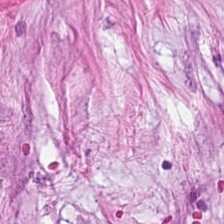Brightfield. H&E stain.
The tissue class is desmoplastic stroma.
